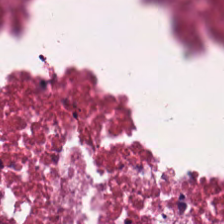Stain: H&E-stained tissue section.
Tile size: 224×224 pixel tile.
Predominant tissue: necrotic debris.
